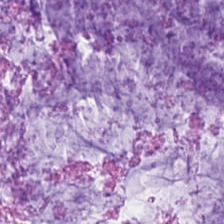Hematoxylin-and-eosin section: mucus.
